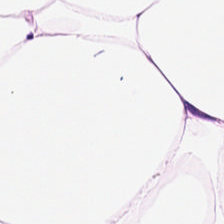H&E stain; 224×224 px patch.
The tissue is adipose.
